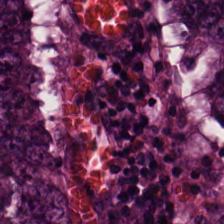H&E-stained tissue section · FFPE.
{"tissue_type": "malignant epithelium"}
